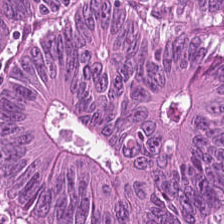Q: What tissue type is shown here?
A: The field shows colorectal adenocarcinoma epithelium.
